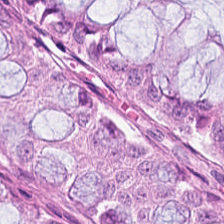H&E — benign colonic mucosa.
